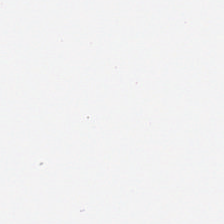Stain: H&E-stained tissue section.
Classification: empty background.
